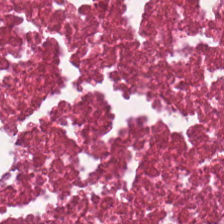FFPE; hematoxylin and eosin — Tissue class — cellular debris.
